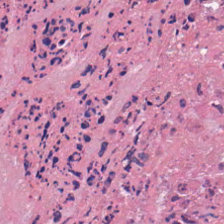Hematoxylin and eosin. 224×224 pixel tile. Q: What is shown in this field?
A: The field shows cellular debris.
